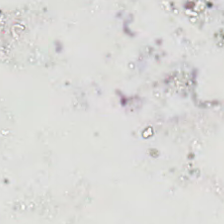0.5 µm/px. Hematoxylin and eosin — Classification — background.
